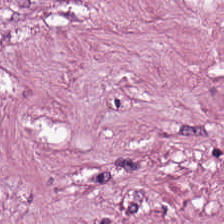H&E-stained tissue section.
This patch shows tumor stroma.
